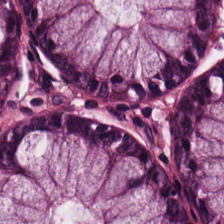Brightfield microscopy · formalin-fixed paraffin-embedded section · hematoxylin and eosin — Predominantly normal colon mucosa.
